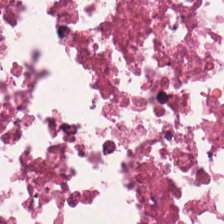Hematoxylin and eosin — Tissue class — necrotic debris.
